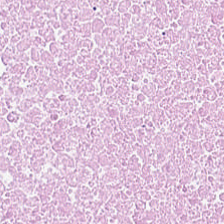Stain: H&E stain.
Classification: debris.
